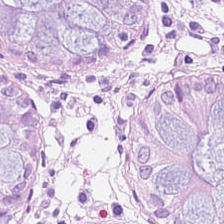Classification: benign colonic mucosa.
